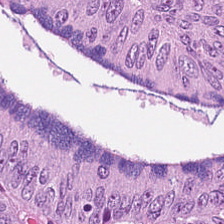FFPE. Brightfield microscopy. Hematoxylin-and-eosin stained section.
Predominantly adenocarcinoma.
